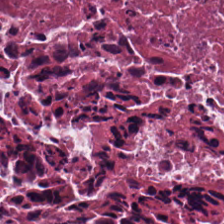Necrotic debris.
